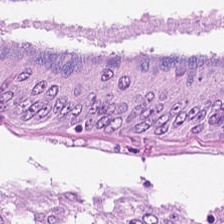H&E-stained tissue section. Predominantly malignant epithelium.
